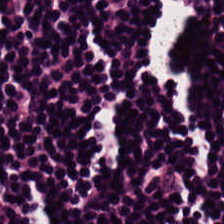Hematoxylin-and-eosin stained section — Predominant tissue — lymphocytes.
